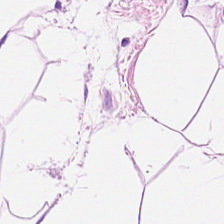H&E stain. Formalin-fixed paraffin-embedded section. Impression — adipocytes.
